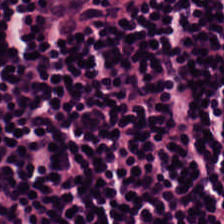0.5 microns per pixel · FFPE tissue section · hematoxylin-and-eosin stained section — This patch shows lymphoid infiltrate.
